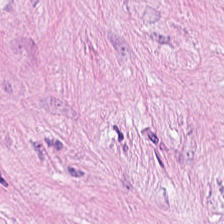Stain: H&E.
Classification: tumor-associated stroma.
